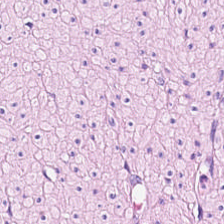Q: Identify the tissue.
A: This is smooth muscle.
